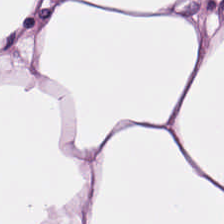224×224 px patch; hematoxylin and eosin; FFPE.
This field is adipose tissue.
